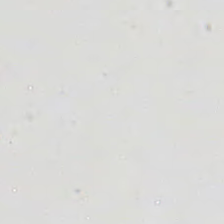Content: background (no tissue).
